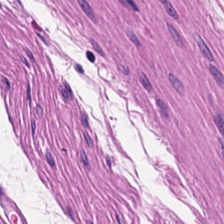H&E. The tissue here is muscularis.
